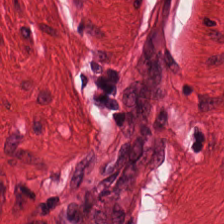H&E-stained tissue section — The predominant tissue is smooth muscle.
